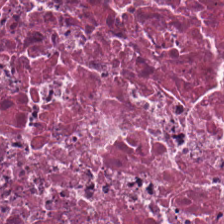H&E stain. Histology → necrotic debris.
